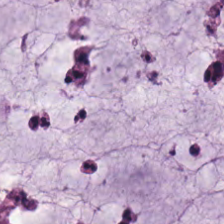Hematoxylin-and-eosin stained section · 224×224 px patch · FFPE. Finding — mucus.
